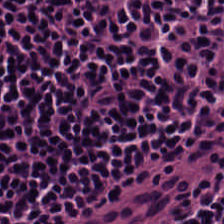Hematoxylin and eosin.
Impression — lymphoid infiltrate.
